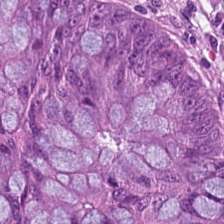Stain: H&E-stained tissue section.
Predominant tissue: colorectal adenocarcinoma.
